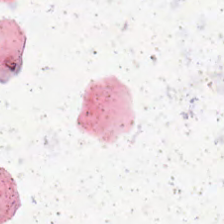Background — no tissue in this field.
